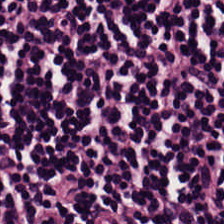Hematoxylin and eosin. The tissue here is lymphocytic infiltrate.
